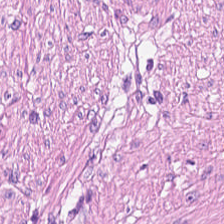Hematoxylin-and-eosin stained section — {"tissue_type": "smooth muscle"}
